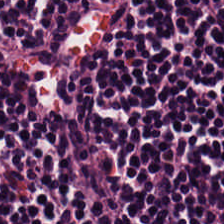224×224 px tile · brightfield microscopy · H&E. Showing lymphocyte aggregate.
